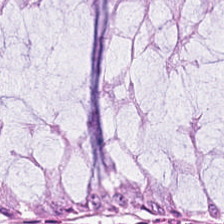Hematoxylin-and-eosin stained section — The tissue type is benign colonic mucosa.
